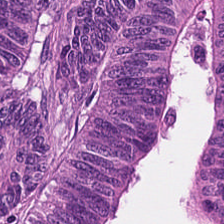Stain: H&E stain.
Tissue class: colorectal adenocarcinoma.
